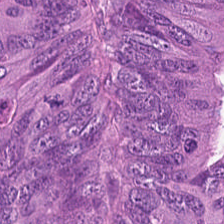H&E stain. This patch shows adenocarcinoma.
